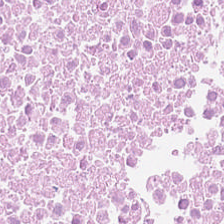Stain: H&E-stained tissue section.
Tissue class: debris.
